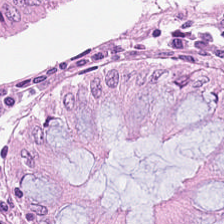H&E stain. The predominant tissue is non-neoplastic colon mucosa.
